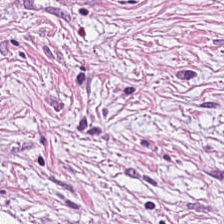Tissue type: cancer-associated stroma.
